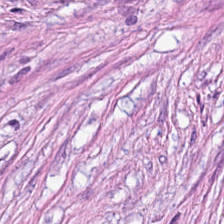Hematoxylin-and-eosin section: desmoplastic stroma.
